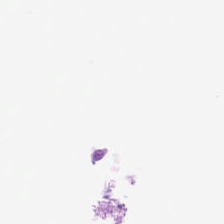Hematoxylin-and-eosin stained section. Formalin-fixed paraffin-embedded section. Field content = no tissue.
